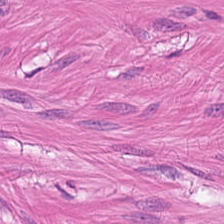Showing smooth-muscle tissue.
